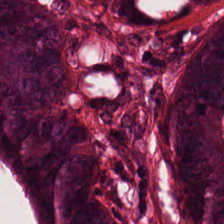Predominant tissue — adenocarcinoma.
